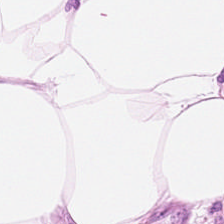H&E stain — This patch shows fat tissue.
